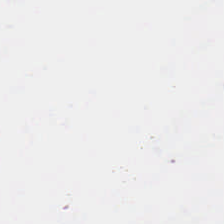Hematoxylin and eosin. Formalin-fixed paraffin-embedded section. 224×224 pixel tile. This field is background (no tissue).
